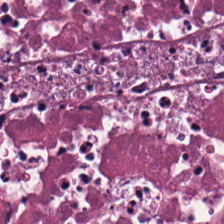224×224 px patch · H&E — Tissue class — debris.
